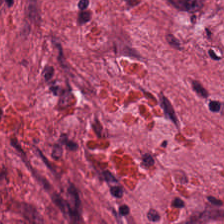The predominant tissue is cancer-associated stroma.
